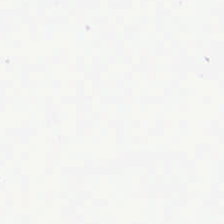20× equivalent magnification. Hematoxylin and eosin. Formalin-fixed paraffin-embedded section. Finding — no tissue.
